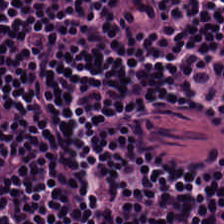Classification: lymphocytic infiltrate.
